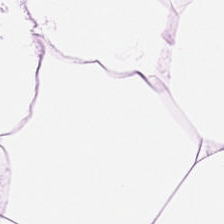H&E.
Histology → adipose tissue.
